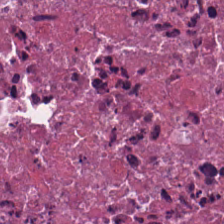H&E stain.
Debris.
